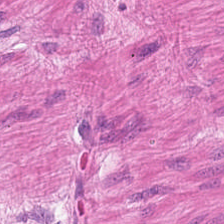The tissue type is smooth-muscle tissue.
